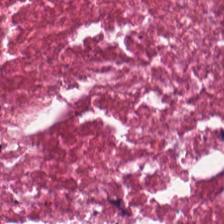Hematoxylin and eosin — The predominant tissue is debris.
